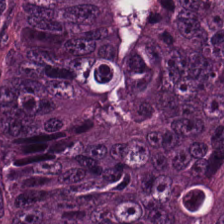H&E stain — Classification: malignant epithelium.
